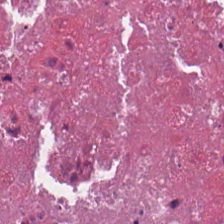Histology — cellular debris.
